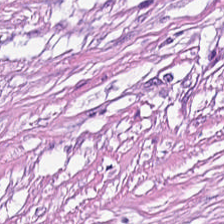H&E stain.
The predominant tissue is desmoplastic stroma.
